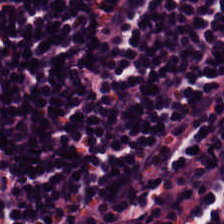H&E; 224×224 pixel tile; 0.5 µm per pixel.
Tissue — lymphocytes.
